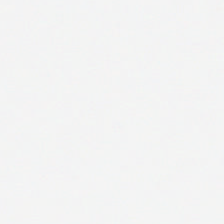224×224 px patch; H&E; FFPE.
Q: What is shown in this field?
A: This is background.
